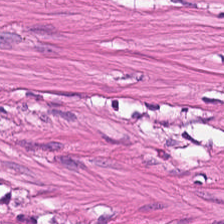H&E stain — Predominantly muscularis.
